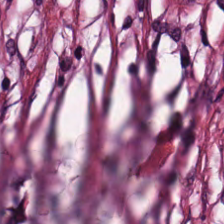Brightfield · H&E-stained tissue section.
Q: What does this patch show?
A: This is tumor stroma.
